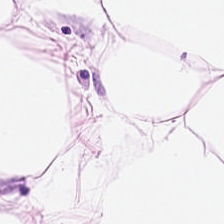Predominantly adipocytes.
